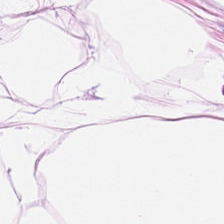Hematoxylin-and-eosin stained section. Brightfield. 224×224 pixel tile — Impression → adipose.
